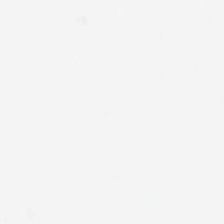H&E stain.
Field content — empty background.
